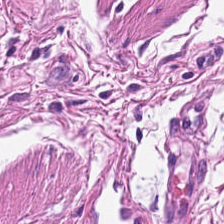H&E stain — This patch shows smooth muscle.
